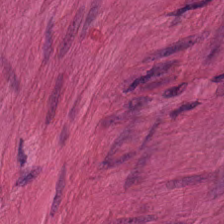H&E-stained tissue section. 224×224 px tile. WSI patch. Showing smooth-muscle tissue.
